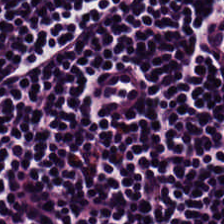Predominant tissue: lymphoid infiltrate.
